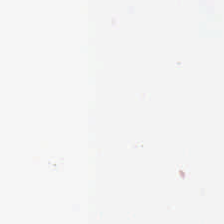Finding — background.
